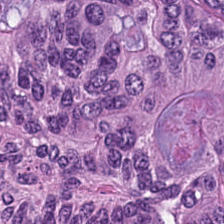Classification = colorectal adenocarcinoma.
